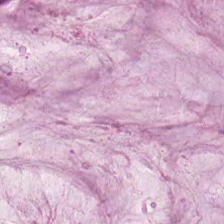Q: Identify the tissue.
A: This is extracellular mucin.
